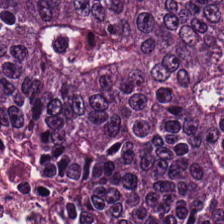224×224 pixel tile; brightfield microscopy; H&E-stained tissue section — The tissue is adenocarcinoma.
